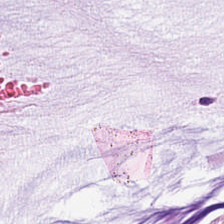Whole-slide-image patch · hematoxylin and eosin.
This field is extracellular mucin.
